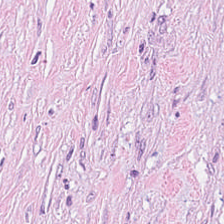Q: What tissue is shown?
A: This is tumor-associated stroma.
